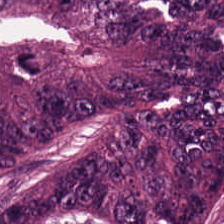H&E stain. The predominant tissue is malignant epithelium.
